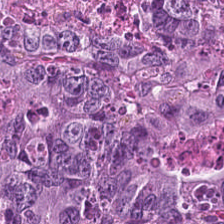WSI patch · hematoxylin-and-eosin stained section.
Q: Identify the tissue.
A: Tumor epithelium.
